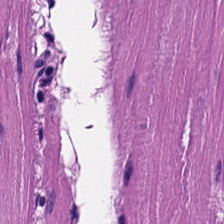H&E-stained tissue section; whole-slide-image patch. Tissue type = muscularis.
